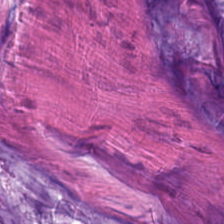Impression — mucus.
